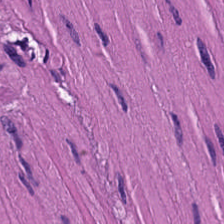Tissue type: muscularis.
